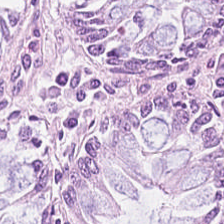H&E stain — The tissue class is normal colon mucosa.
